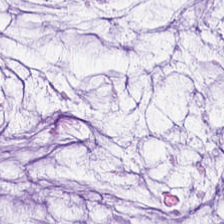Classification = mucin.
